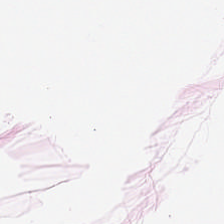Hematoxylin and eosin · FFPE tissue section.
The tissue class is adipose tissue.
